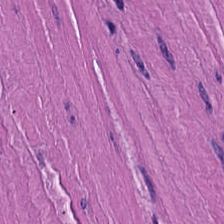H&E stain — Classification — muscularis.
